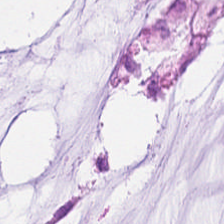H&E patch showing mucin.
